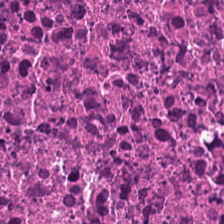Hematoxylin-and-eosin stained section. Formalin-fixed paraffin-embedded section — The tissue is cellular debris.
